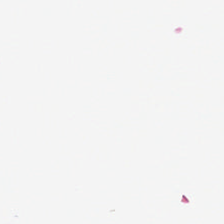Hematoxylin-and-eosin stained section — Q: What is shown here?
A: Background (no tissue).
